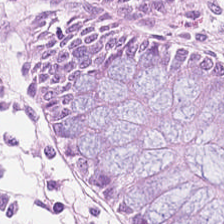H&E-stained tissue section — Finding → benign colonic mucosa.
